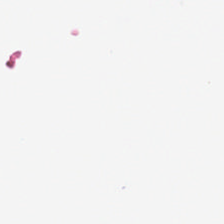Hematoxylin and eosin.
Impression → background.
